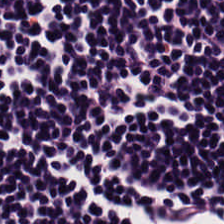Hematoxylin-and-eosin stained section.
Predominant tissue = lymphoid infiltrate.
